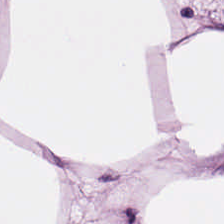Impression — fat tissue.
